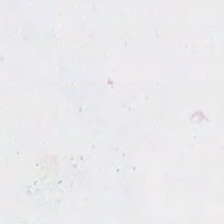224×224 pixel tile · H&E · brightfield microscopy. No tissue present; background only.
